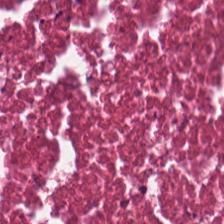Formalin-fixed paraffin-embedded section; H&E-stained tissue section.
Cellular debris.
